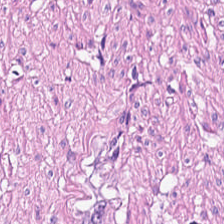H&E-stained tissue section showing muscularis.
